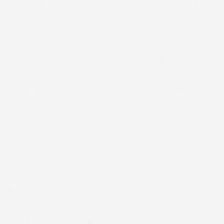Classification: background.
